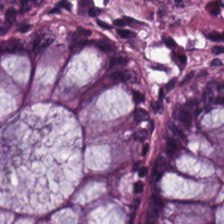H&E stain. Q: What tissue is shown?
A: It is benign colonic mucosa.
